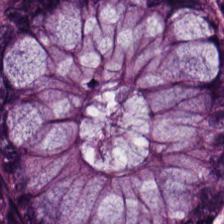Classification = normal colon mucosa.
